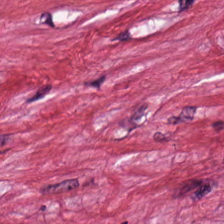Classification: tumor stroma.
